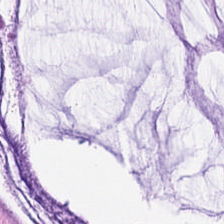FFPE · hematoxylin and eosin · 224×224 pixel tile.
Impression — mucin.
